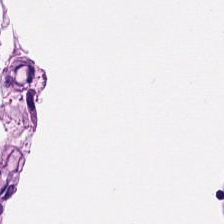Q: What type of tissue is this?
A: It is muscularis.
